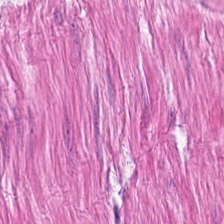H&E stain.
Showing muscularis.
